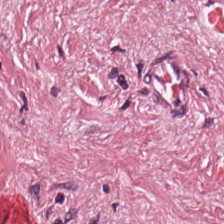0.5 µm per pixel. H&E.
Q: What tissue is shown?
A: It is tumor stroma.
